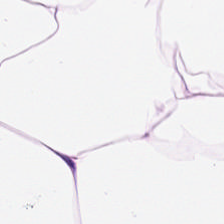0.5 µm/px · H&E-stained tissue section. Q: What does this patch show?
A: This is adipocytes.
